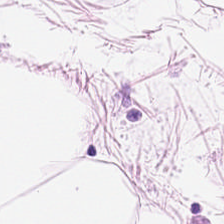Hematoxylin-and-eosin stained section.
Q: What is shown here?
A: The field shows adipose.
